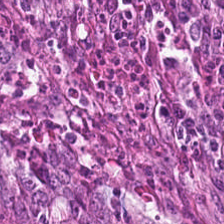Hematoxylin and eosin. Predominantly malignant epithelium.
